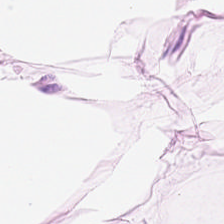Hematoxylin and eosin. WSI patch.
The tissue here is adipose.
